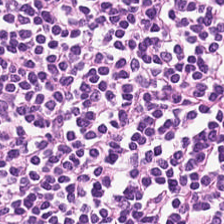H&E stain · WSI patch. The tissue here is lymphocytes.
